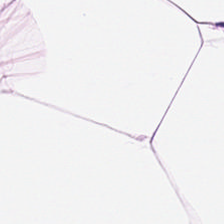Hematoxylin and eosin — Impression → adipose.
